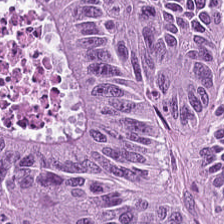WSI patch. Hematoxylin and eosin — This patch shows colorectal adenocarcinoma.
